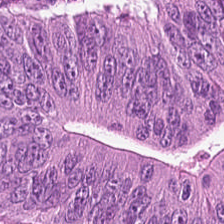H&E; WSI patch; 224×224 px tile.
Q: What tissue type is shown here?
A: This is colorectal adenocarcinoma.
